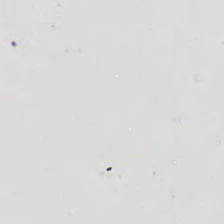H&E-stained tissue section.
Q: Classify this patch.
A: This is background.
